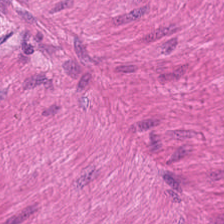The predominant tissue is muscularis.
